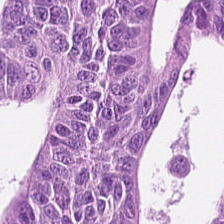FFPE tissue section · 0.5 microns per pixel · H&E-stained tissue section.
Predominant tissue — colorectal adenocarcinoma epithelium.
